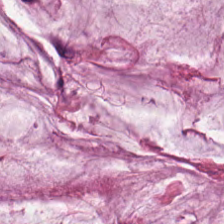This patch shows mucin.
